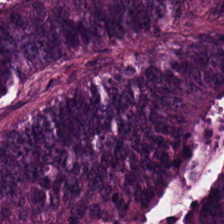H&E stain. Classification: adenocarcinoma.
